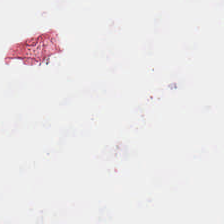H&E.
Field content = no tissue.
